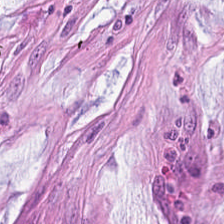H&E-stained tissue section; whole-slide-image patch — Showing mucus.
